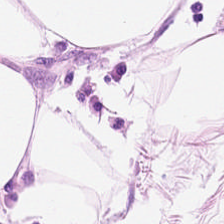Hematoxylin-and-eosin stained section.
The predominant tissue is adipocytes.
